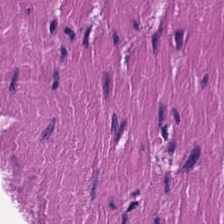The tissue class is smooth-muscle tissue.
